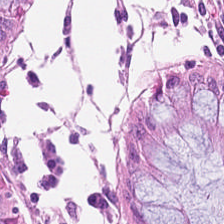H&E-stained tissue section showing normal colon mucosa.
